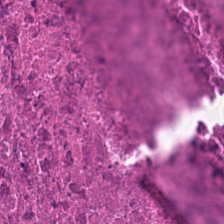224×224 px patch. Hematoxylin and eosin — This patch shows cellular debris.
